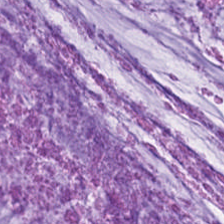H&E-stained tissue section. Impression → mucus.
